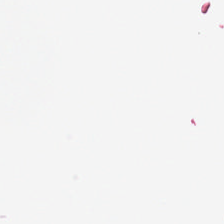Hematoxylin-and-eosin stained section.
Field content: empty background.
